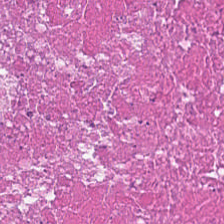Hematoxylin and eosin — Tissue type — necrotic debris.
